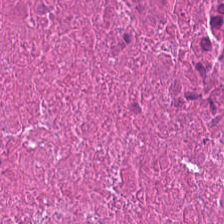H&E-stained tissue section.
Tissue: necrotic debris.
